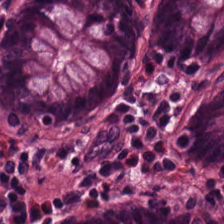The predominant tissue is non-neoplastic colon mucosa.
